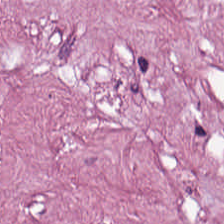Stain: hematoxylin-and-eosin stained section.
Tissue type: tumor-associated stroma.
